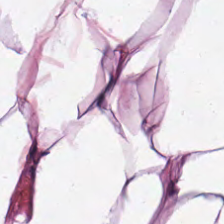Stain: H&E.
Predominant tissue: fat tissue.
